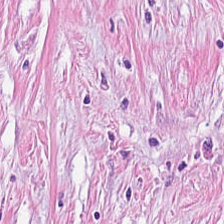H&E stain; 0.5 µm/px.
This patch shows desmoplastic stroma.
